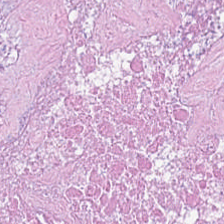H&E-stained tissue section showing debris.
